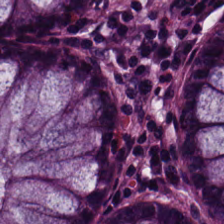H&E stain.
The tissue is benign colonic mucosa.
